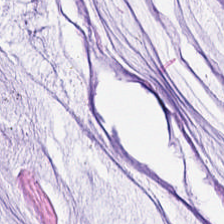H&E stain.
The tissue here is mucus.
